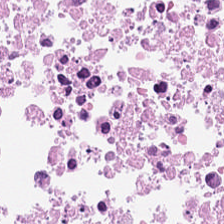Tissue: cellular debris.
